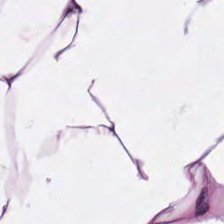Hematoxylin and eosin. Predominantly adipose tissue.
